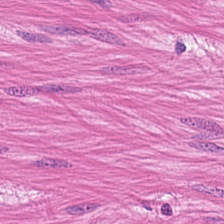Stain: H&E-stained tissue section.
Preparation: FFPE.
Tile size: 224×224 px patch.
Tissue: smooth muscle.
